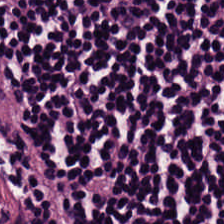H&E. The predominant tissue is lymphocyte aggregate.
